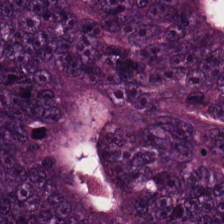H&E-stained tissue section. Predominantly colorectal adenocarcinoma.
